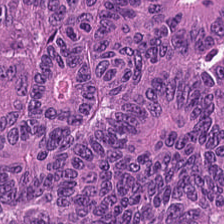Hematoxylin and eosin.
The tissue class is tumor epithelium.
